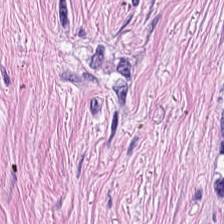WSI patch · 224×224 px tile · H&E-stained tissue section — This patch shows desmoplastic stroma.
